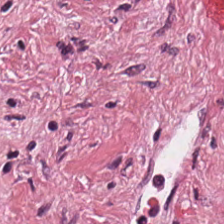H&E.
The tissue here is cancer-associated stroma.
